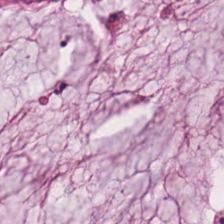Hematoxylin and eosin. Brightfield microscopy.
This field is mucus.
